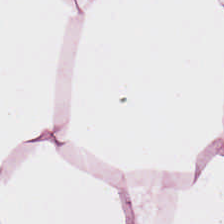Stain: H&E stain.
Tile size: 224×224 px tile.
Tissue type: fat tissue.
